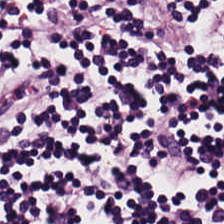Hematoxylin-and-eosin stained section — The tissue here is lymphoid infiltrate.
